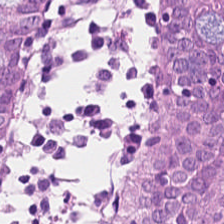H&E-stained tissue section showing non-neoplastic colon mucosa.
